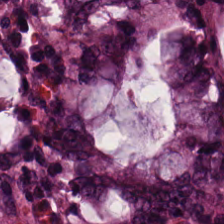{"tissue_type": "normal colon mucosa"}
